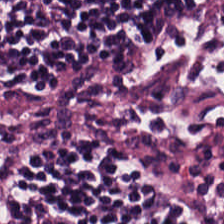H&E-stained tissue section. WSI patch — The tissue class is lymphocyte aggregate.
